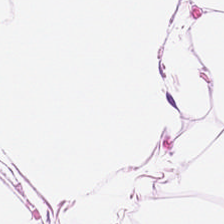Stain: hematoxylin-and-eosin stained section.
Classification: adipose.
